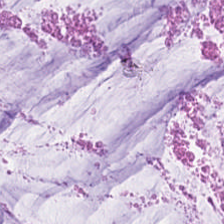H&E — Q: What does this patch show?
A: This is mucin.
